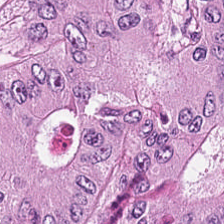H&E stain; 0.5 microns per pixel — The tissue here is colorectal adenocarcinoma epithelium.
